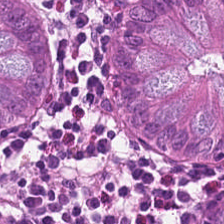Hematoxylin-and-eosin stained section — Predominantly benign colonic mucosa.
